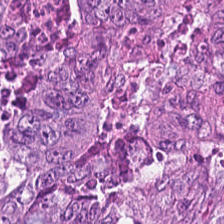{"tissue_type": "tumor epithelium"}
